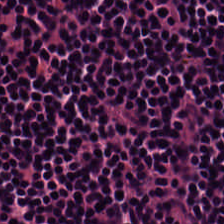Q: What tissue is shown?
A: Lymphocyte aggregate.
